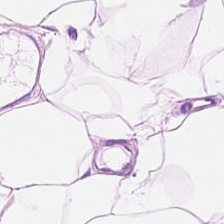H&E-stained tissue section — Tissue — adipose.
